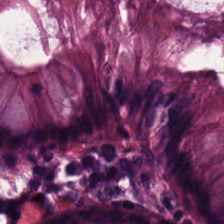Stain: H&E-stained tissue section.
Classification: non-neoplastic colon mucosa.
